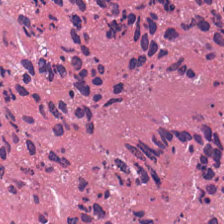H&E-stained tissue section.
Impression — cellular debris.
